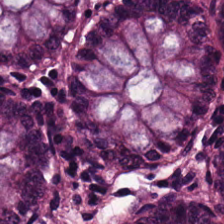H&E.
The predominant tissue is normal colonic mucosa.
